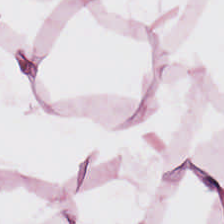Stain: hematoxylin-and-eosin stained section.
Predominant tissue: fat tissue.
